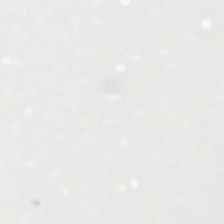Hematoxylin-and-eosin stained section.
This field is background (no tissue).
